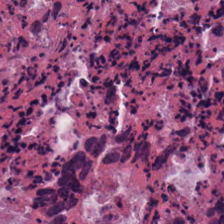FFPE; H&E stain. Histology → cellular debris.
